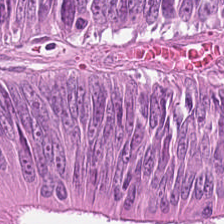This field is colorectal adenocarcinoma.
